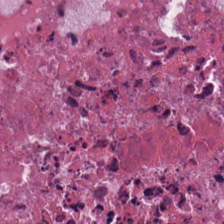This patch shows debris.
